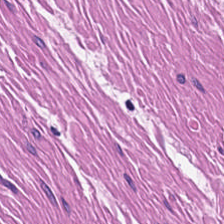Hematoxylin and eosin — Muscularis.
